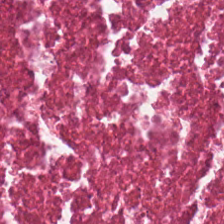0.5 µm/px. H&E. Whole-slide-image patch.
Tissue class: necrotic debris.
